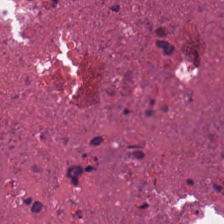H&E — The predominant tissue is cellular debris.
